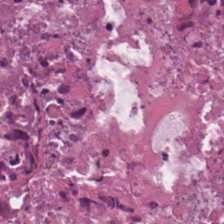Tissue = debris.
